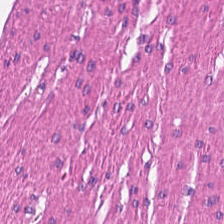FFPE. 224×224 pixel tile. H&E-stained tissue section. Finding — smooth muscle.
